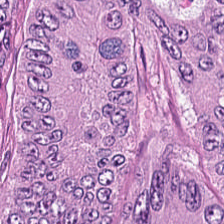Showing malignant epithelium.
